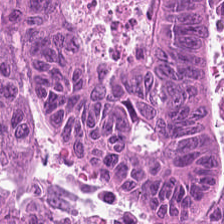FFPE · hematoxylin-and-eosin stained section · whole-slide-image patch — Malignant epithelium.
